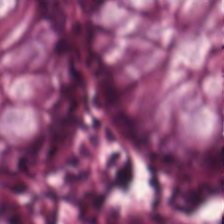H&E — Impression → normal colonic mucosa.
